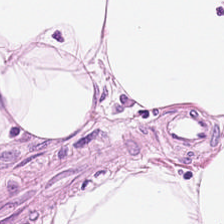Brightfield microscopy; 224×224 pixel tile; hematoxylin-and-eosin stained section.
{"tissue_type": "fat tissue"}
